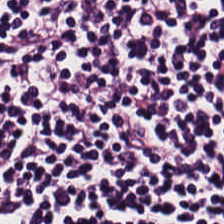H&E-stained tissue section. 0.5 µm/px. Lymphocytic infiltrate.
